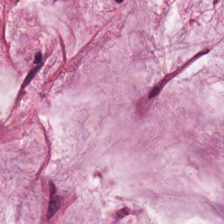H&E-stained tissue section — The predominant tissue is mucus.
